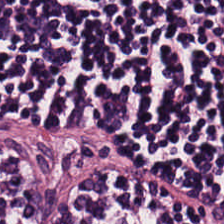Hematoxylin-and-eosin stained section. WSI patch — Tissue — lymphoid infiltrate.
